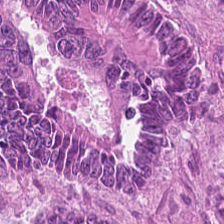H&E — The predominant tissue is colorectal adenocarcinoma epithelium.
